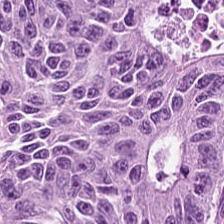Hematoxylin and eosin. The classification is malignant epithelium.
